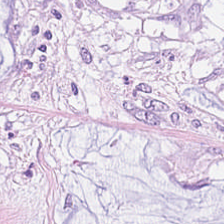{"tissue_type": "mucus"}
